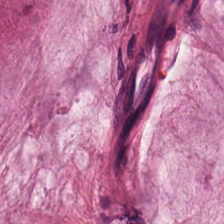H&E — extracellular mucin.
